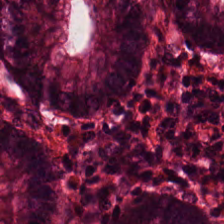H&E patch showing non-neoplastic colon mucosa.
